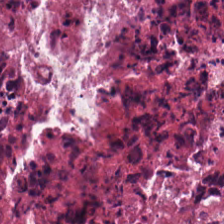{"tissue_type": "necrotic debris"}
